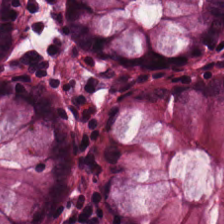Hematoxylin and eosin — Q: What is shown in this field?
A: Benign colonic mucosa.
